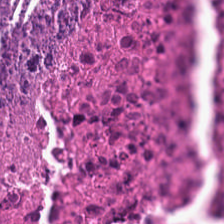H&E stain. 224×224 px patch. Classification — cellular debris.
